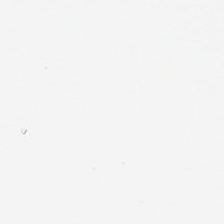Stain: hematoxylin-and-eosin stained section.
Content: background.
